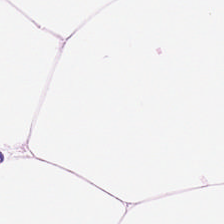Stain: hematoxylin-and-eosin stained section.
Tissue type: adipose.
